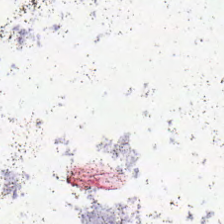Stain: H&E stain.
Field content: background.
